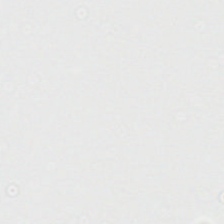Brightfield microscopy; hematoxylin-and-eosin stained section; 0.5 µm per pixel.
This field is background (no tissue).
